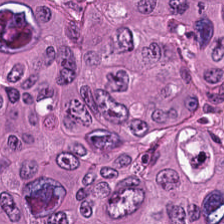Q: What is shown in this field?
A: It is tumor epithelium.
